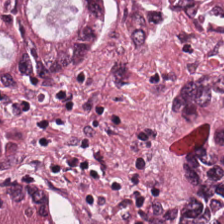Stain: H&E-stained tissue section.
Resolution: 0.5 µm/px.
Predominant tissue: tumor epithelium.
